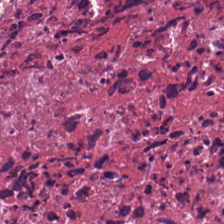Hematoxylin and eosin. 20× equivalent magnification. This field is debris.
